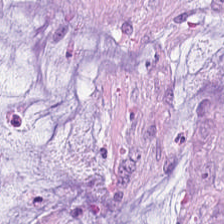H&E-stained tissue section — The predominant tissue is mucin.
